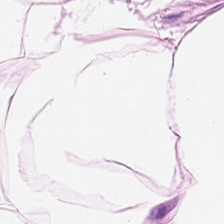Stain: H&E stain.
Preparation: FFPE tissue section.
Tissue: adipocytes.
